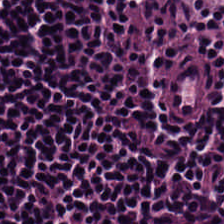Q: Classify this patch.
A: It is lymphocyte aggregate.
